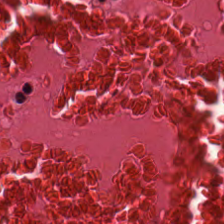224×224 px tile; H&E-stained tissue section; brightfield. Histology — necrotic debris.
